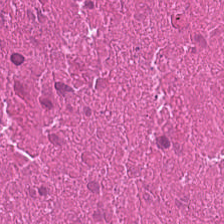Stain: hematoxylin and eosin.
Resolution: 0.5 µm/px.
Acquisition: brightfield.
Tissue type: necrotic debris.
